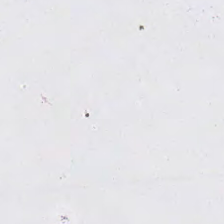0.5 µm/px · hematoxylin-and-eosin stained section — Field content — no tissue.
